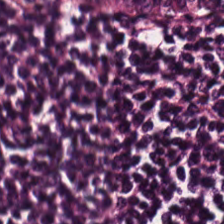224×224 px patch; H&E stain — Finding — lymphoid infiltrate.
